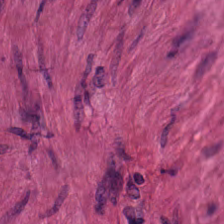Showing smooth muscle.
